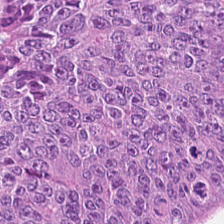Hematoxylin-and-eosin stained section · 224×224 px patch · whole-slide-image patch.
The tissue here is malignant epithelium.
